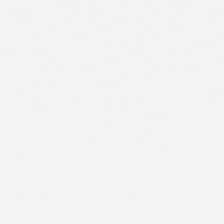H&E stain.
Empty field — background.
